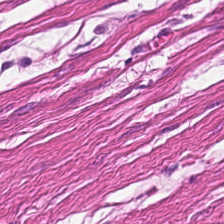Q: Identify the tissue.
A: The field shows muscularis.
